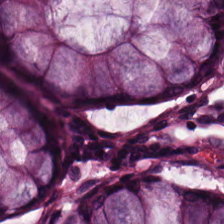Brightfield microscopy. Hematoxylin-and-eosin stained section — Q: Identify the tissue.
A: It is non-neoplastic colon mucosa.
